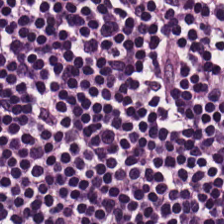224×224 px patch; H&E-stained tissue section. Tissue = lymphocyte aggregate.
